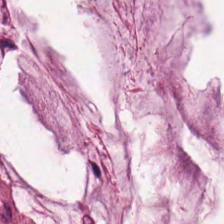FFPE tissue section. H&E-stained tissue section. 224×224 pixel tile.
Tissue type = mucin.
